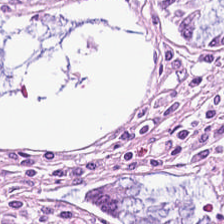Predominantly benign colonic mucosa.
